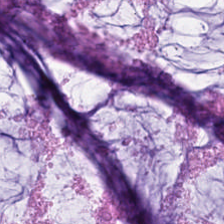Hematoxylin-and-eosin stained section. 224×224 px tile. 0.5 µm/px. The predominant tissue is mucin.
